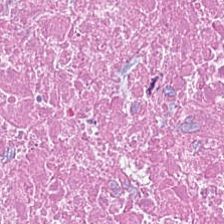Hematoxylin and eosin. Predominantly cellular debris.
